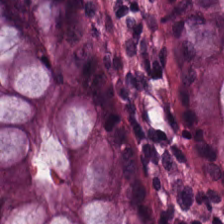H&E.
Q: What is shown in this field?
A: Non-neoplastic colon mucosa.
